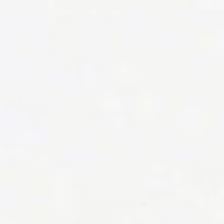Brightfield · H&E stain. No tissue present; background only.
